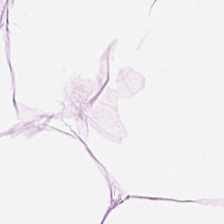Q: What is the predominant tissue type?
A: It is adipocytes.
